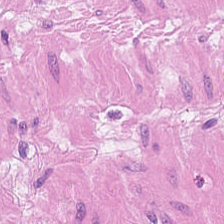Brightfield microscopy. Hematoxylin and eosin — Predominantly muscularis.
